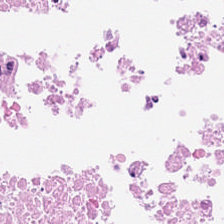Q: What does this patch show?
A: This is debris.
